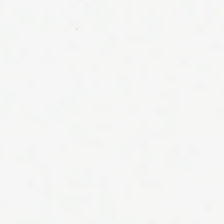Field content = background (no tissue).
